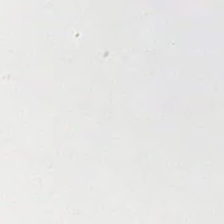H&E stain. Q: What is shown here?
A: Background.
